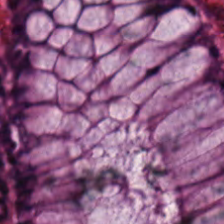H&E-stained tissue section · 0.5 µm/px · FFPE — Predominantly normal colon mucosa.
